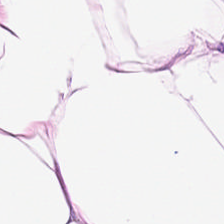Showing fat tissue.
